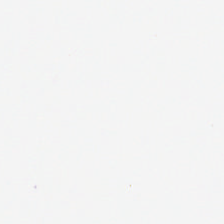Hematoxylin-and-eosin stained section — Empty field — background (no tissue).
